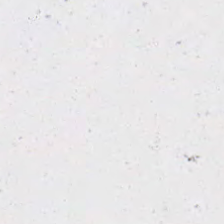Empty field — empty background.
